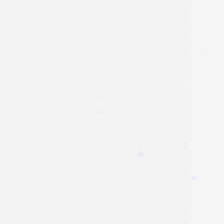H&E-stained tissue section; formalin-fixed paraffin-embedded section; 224×224 px tile. Finding → no tissue.
